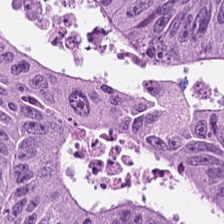FFPE; WSI patch; hematoxylin and eosin — The tissue here is tumor epithelium.
